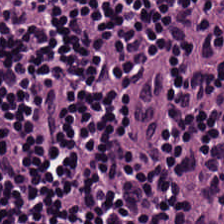224×224 pixel tile. Hematoxylin-and-eosin stained section.
Showing lymphocytic infiltrate.
